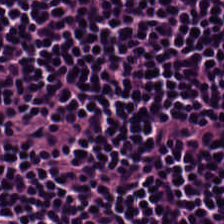Hematoxylin-and-eosin stained section. {"tissue_type": "lymphocytic infiltrate"}
